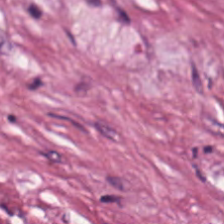Q: What tissue type is shown here?
A: It is desmoplastic stroma.
